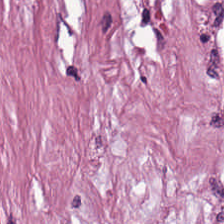H&E-stained tissue section.
Predominantly cancer-associated stroma.
